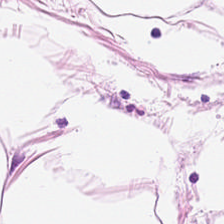Brightfield microscopy · H&E stain · 0.5 microns per pixel.
Q: What tissue type is shown here?
A: Adipocytes.
